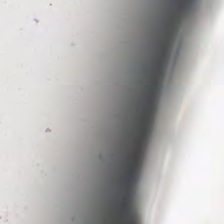H&E. 224×224 px tile — This patch shows background.
